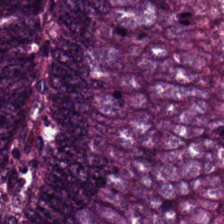Hematoxylin-and-eosin stained section. 224×224 px patch — Finding — colorectal adenocarcinoma.
